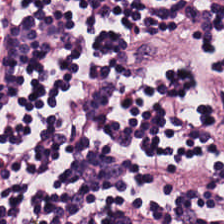Hematoxylin-and-eosin stained section — The tissue here is lymphocytes.
